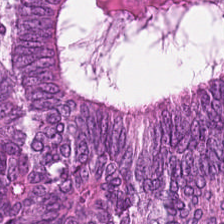224×224 px patch. Hematoxylin and eosin — This patch shows malignant epithelium.
